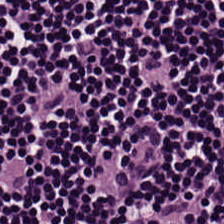Hematoxylin-and-eosin stained section — {"tissue_type": "lymphoid infiltrate"}
